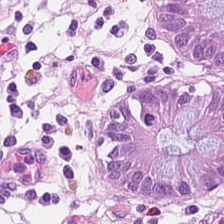Stain: H&E.
Tissue type: normal colon mucosa.
